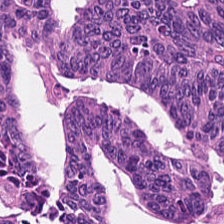Stain: H&E stain.
Tissue type: colorectal adenocarcinoma epithelium.
